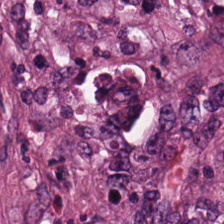H&E-stained tissue section.
The tissue here is tumor-associated stroma.
